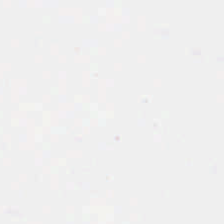H&E stain; brightfield microscopy.
Content = background.
